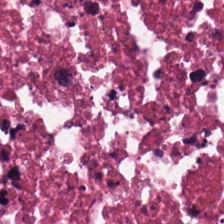Brightfield. Formalin-fixed paraffin-embedded section. Hematoxylin-and-eosin stained section.
Q: What is the predominant tissue type?
A: The field shows cellular debris.
